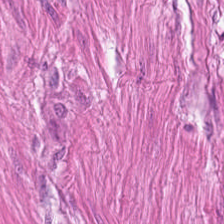Classification — smooth-muscle tissue.
